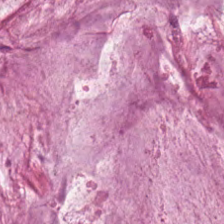H&E. Formalin-fixed paraffin-embedded section. The predominant tissue is mucin.
